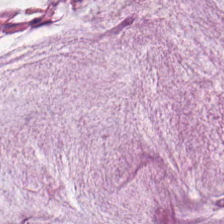Stain: hematoxylin-and-eosin stained section.
Tissue: mucus.
